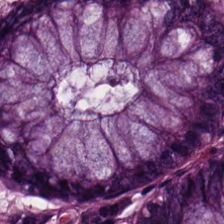Impression — non-neoplastic colon mucosa.
